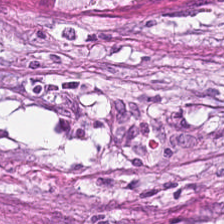H&E stain. The tissue here is tumor-associated stroma.
